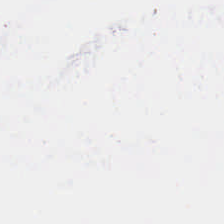Hematoxylin-and-eosin stained section — Background (no tissue).
